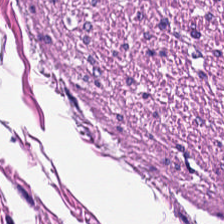Hematoxylin-and-eosin stained section.
The classification is smooth muscle.
